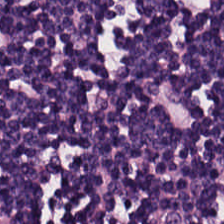H&E-stained tissue section.
Predominantly lymphocytic infiltrate.
